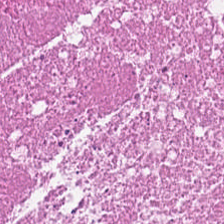Q: Identify the tissue.
A: The field shows debris.
